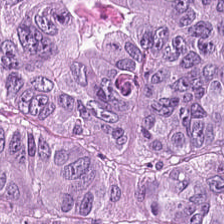H&E. 20× equivalent magnification. Impression → malignant epithelium.
